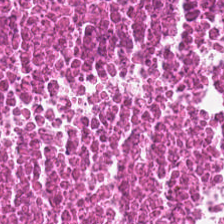H&E. This patch shows necrotic debris.
